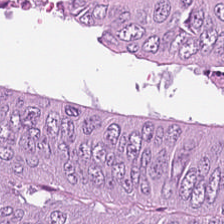H&E stain — Predominantly colorectal adenocarcinoma.
